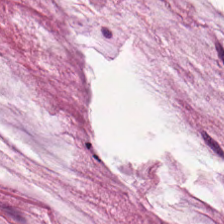H&E-stained tissue section.
Impression — mucin.
